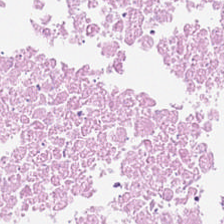Hematoxylin and eosin — Finding → debris.
